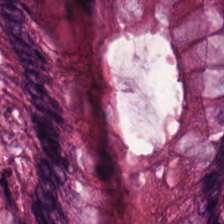This patch shows benign colonic mucosa.
